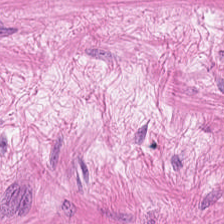H&E — Smooth muscle.
